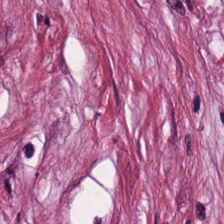Hematoxylin-and-eosin stained section — Tissue type: desmoplastic stroma.
